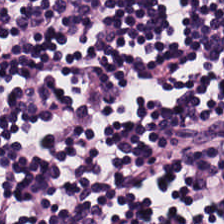Hematoxylin and eosin — This patch shows lymphocytes.
